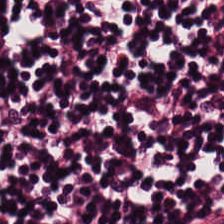Predominant tissue: lymphoid infiltrate.
